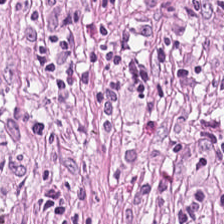Whole-slide-image patch · H&E stain — Predominant tissue: desmoplastic stroma.
